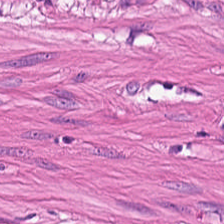Brightfield. H&E — The tissue here is smooth muscle.
